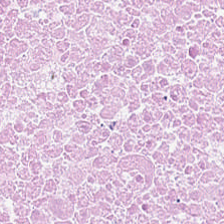Hematoxylin-and-eosin stained section — The tissue here is debris.
